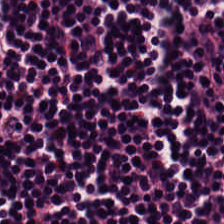H&E-stained tissue section. Whole-slide-image patch. The tissue type is lymphocytic infiltrate.
